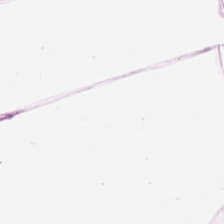H&E.
This patch shows adipose.
